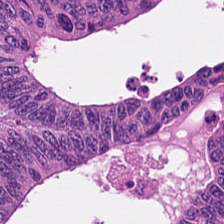Stain: hematoxylin and eosin.
Tissue class: malignant epithelium.
